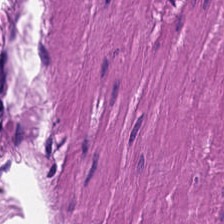H&E-stained tissue section — Muscularis.
